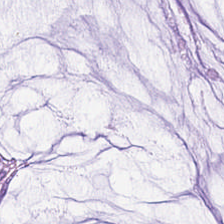Stain: hematoxylin and eosin.
Classification: extracellular mucin.
